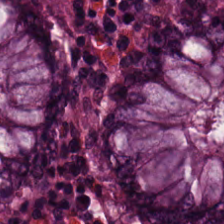20× equivalent magnification · hematoxylin and eosin · 224×224 pixel tile.
Predominantly non-neoplastic colon mucosa.
